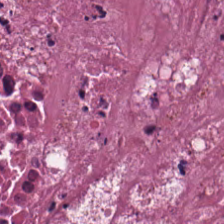0.5 µm/px · H&E stain. The tissue here is debris.
